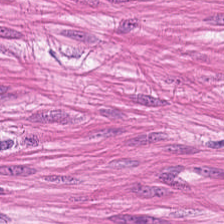Hematoxylin and eosin; 0.5 µm/px; brightfield microscopy.
Predominantly smooth muscle.
